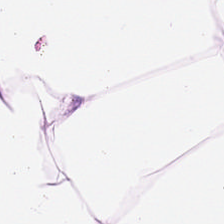Hematoxylin-and-eosin stained section — Finding → fat tissue.
